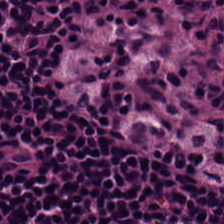H&E — The tissue here is lymphocytes.
